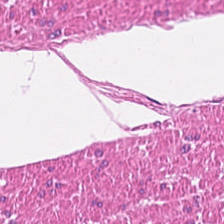Hematoxylin and eosin.
Tissue = smooth muscle.
